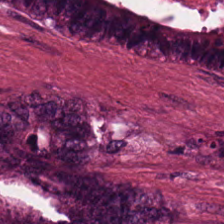Hematoxylin-and-eosin stained section — Classification: malignant epithelium.
